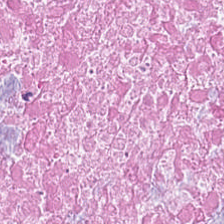Formalin-fixed paraffin-embedded section. H&E stain. This field is debris.
